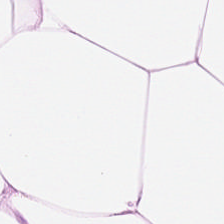FFPE. Hematoxylin and eosin. 0.5 µm per pixel.
Showing fat tissue.
